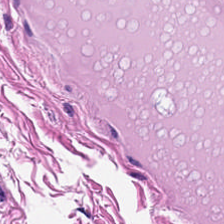FFPE tissue section. H&E-stained tissue section. Brightfield. Q: What is shown here?
A: Muscularis.
